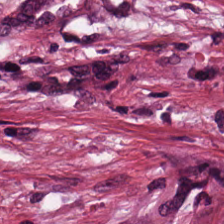Stain: hematoxylin-and-eosin stained section.
Preparation: FFPE.
Tile size: 224×224 px patch.
Predominant tissue: tumor stroma.
